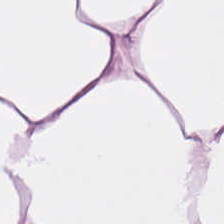Tissue = adipose.
